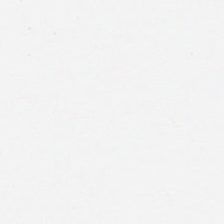Content = background.
